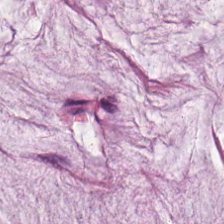Whole-slide-image patch; H&E-stained tissue section. Predominantly mucin.
